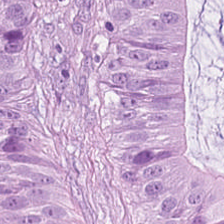H&E-stained tissue section. Q: Classify this patch.
A: The field shows colorectal adenocarcinoma.
